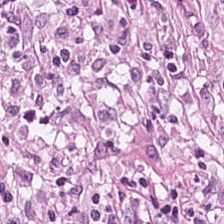H&E. Brightfield microscopy. Impression → tumor-associated stroma.
